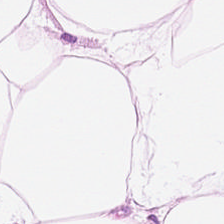H&E-stained tissue section. Brightfield microscopy — The tissue type is fat tissue.
